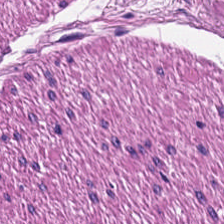Hematoxylin and eosin. Tissue class — smooth-muscle tissue.
